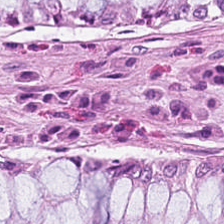Hematoxylin-and-eosin stained section.
{"tissue_type": "normal colon mucosa"}
